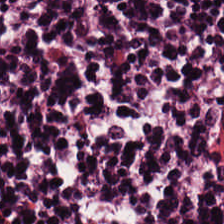H&E-stained tissue section · 224×224 px patch — Q: Identify the tissue.
A: The field shows lymphocytes.
